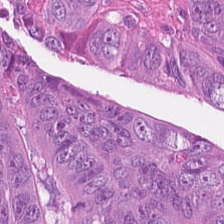Stain: H&E stain.
Tissue: adenocarcinoma.
